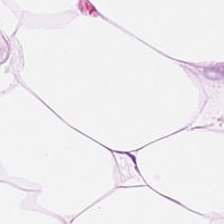0.5 microns per pixel. H&E stain — Fat tissue.
